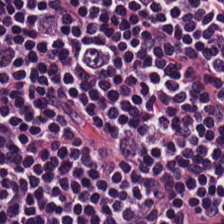Classification = lymphocytes.
